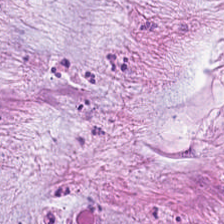H&E stain.
The tissue class is mucus.
